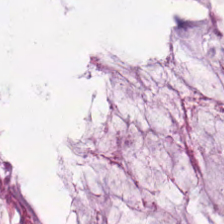H&E-stained tissue section — Showing mucin.
